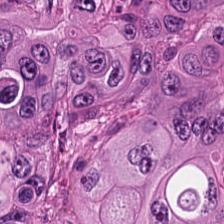Formalin-fixed paraffin-embedded section; 224×224 px patch; hematoxylin and eosin. Showing tumor epithelium.
